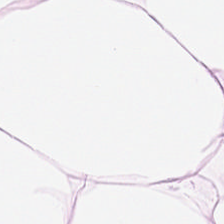H&E-stained tissue section. {"tissue_type": "adipocytes"}
